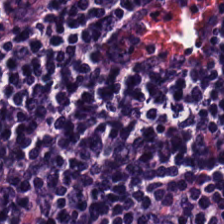0.5 µm per pixel · FFPE tissue section · hematoxylin-and-eosin stained section.
Q: What does this patch show?
A: This is lymphoid infiltrate.
